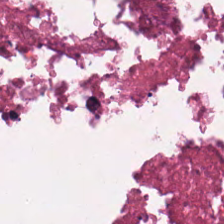0.5 µm/px. Brightfield microscopy. H&E-stained tissue section. Q: What tissue type is shown here?
A: It is necrotic debris.
